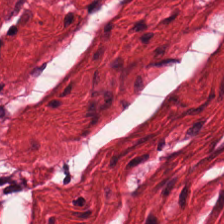H&E-stained tissue section; WSI patch; 224×224 pixel tile — Predominantly smooth muscle.
